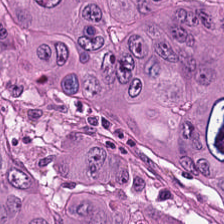224×224 px patch; 0.5 µm/px; hematoxylin-and-eosin stained section.
Q: What does this patch show?
A: The field shows colorectal adenocarcinoma epithelium.
